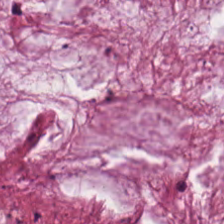224×224 pixel tile · H&E · WSI patch — This field is mucus.
